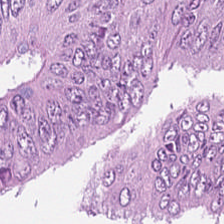Hematoxylin and eosin — {"tissue_type": "malignant epithelium"}
